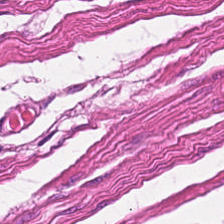Hematoxylin-and-eosin stained section; 224×224 px patch. Classification — muscularis.
